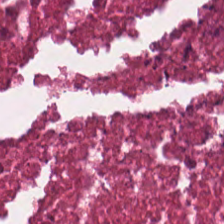Q: What is the predominant tissue type?
A: It is debris.
